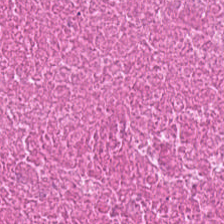FFPE tissue section. Hematoxylin-and-eosin stained section — Tissue type — cellular debris.
